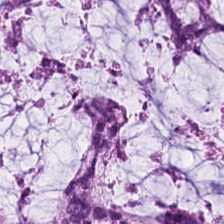Stain: hematoxylin and eosin.
Preparation: FFPE.
Tissue class: mucus.
